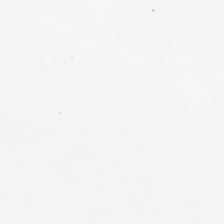Hematoxylin-and-eosin stained section. 20× equivalent magnification. Brightfield — No tissue present; background only.
